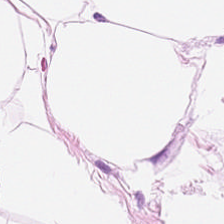H&E stain. This field is adipocytes.
